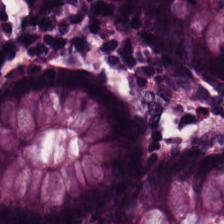Hematoxylin and eosin. FFPE. Predominantly normal colonic mucosa.
